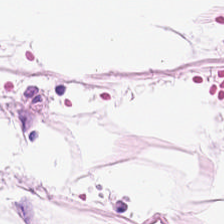224×224 px tile. H&E-stained tissue section — Impression — adipocytes.
